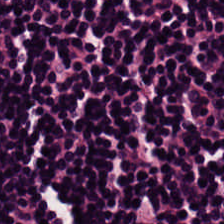H&E. 224×224 px patch. 0.5 µm/px.
Predominantly lymphoid infiltrate.
